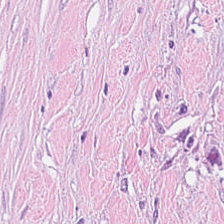The tissue here is desmoplastic stroma.
